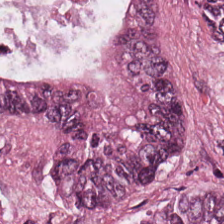Hematoxylin and eosin. Showing colorectal adenocarcinoma epithelium.
